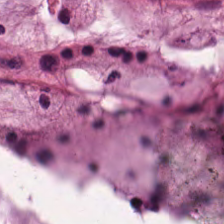Hematoxylin and eosin · 224×224 px tile · formalin-fixed paraffin-embedded section. The tissue here is mucus.
